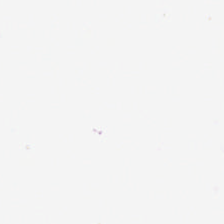H&E. Classification — background.
